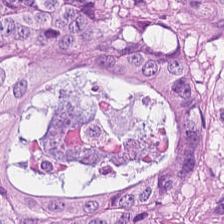Hematoxylin and eosin — Q: Classify this patch.
A: It is adenocarcinoma.
